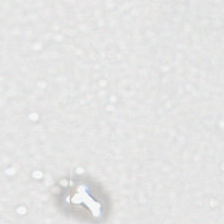Stain: H&E stain.
Field content: no tissue.
